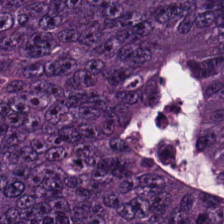Tissue class: adenocarcinoma.
